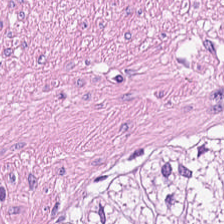Histology → muscularis.
